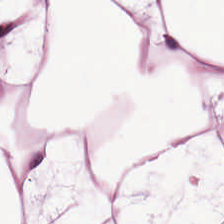Q: What is shown in this field?
A: It is adipose.
